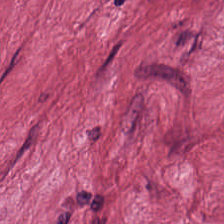Hematoxylin and eosin.
Predominantly desmoplastic stroma.
